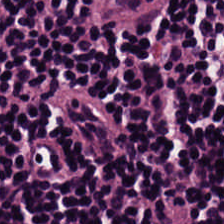Stain: H&E stain.
Classification: lymphocytic infiltrate.
